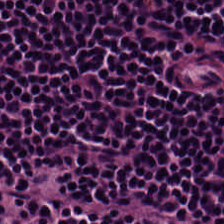Hematoxylin-and-eosin stained section. 0.5 µm/px.
Finding — lymphoid infiltrate.
